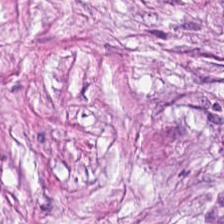{"tissue_type": "tumor-associated stroma"}
